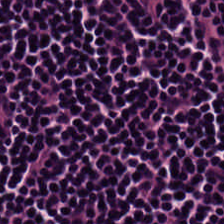Tissue = lymphocytic infiltrate.
